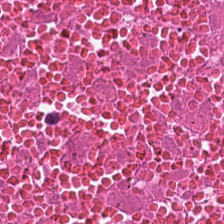H&E-stained tissue section; formalin-fixed paraffin-embedded section. This patch shows cellular debris.
